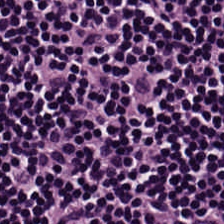Tissue class — lymphocytic infiltrate.
